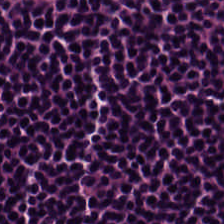Formalin-fixed paraffin-embedded section · H&E stain · brightfield microscopy. Classification = lymphocytes.
